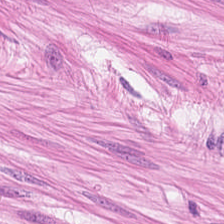Hematoxylin-and-eosin stained section; 20× equivalent magnification.
Impression → smooth-muscle tissue.
